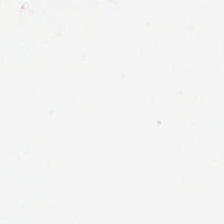Hematoxylin and eosin · 224×224 pixel tile.
Empty field — no tissue.
